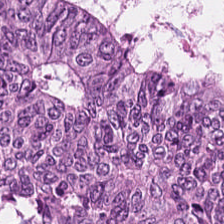Stain: H&E-stained tissue section.
Resolution: 0.5 µm per pixel.
Preparation: formalin-fixed paraffin-embedded section.
Tissue class: malignant epithelium.
